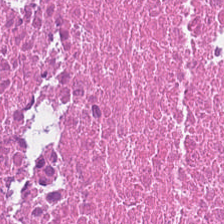The predominant tissue is necrotic debris.
